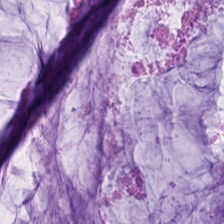Hematoxylin-and-eosin stained section.
Q: What is the predominant tissue type?
A: Mucus.
